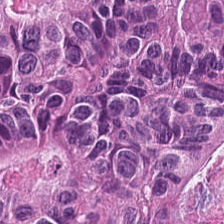Stain: H&E stain.
Tile size: 224×224 px tile.
Resolution: 0.5 microns per pixel.
Tissue class: colorectal adenocarcinoma epithelium.
